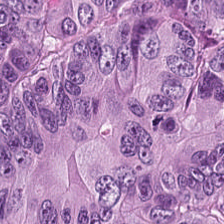H&E patch showing colorectal adenocarcinoma.
